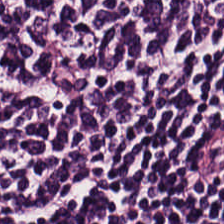Hematoxylin and eosin — {"tissue_type": "lymphocytes"}
